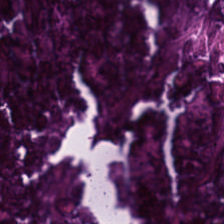Hematoxylin-and-eosin stained section; FFPE tissue section.
Showing debris.
